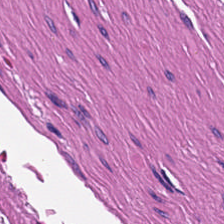20× equivalent magnification; hematoxylin-and-eosin stained section. Tissue class = muscularis.
